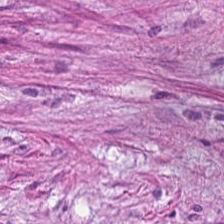Stain: hematoxylin and eosin.
Tissue: tumor-associated stroma.
